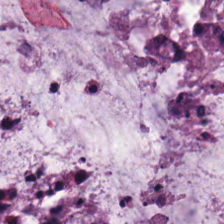H&E-stained tissue section — Predominantly mucin.
